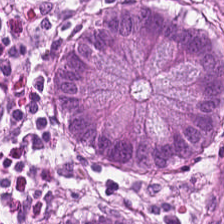H&E stain — Classification — normal colon mucosa.
